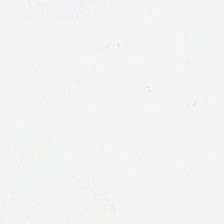H&E stain; 20× equivalent magnification. This field is background (no tissue).
